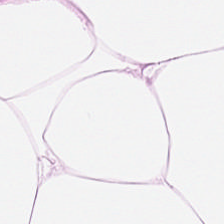Formalin-fixed paraffin-embedded section; H&E-stained tissue section; brightfield. This patch shows fat tissue.
